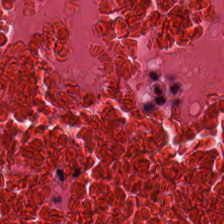H&E-stained tissue section; FFPE. The tissue type is necrotic debris.
